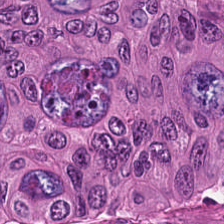H&E stain. The predominant tissue is colorectal adenocarcinoma epithelium.
